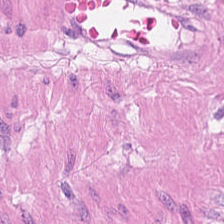H&E — Predominant tissue = smooth-muscle tissue.
